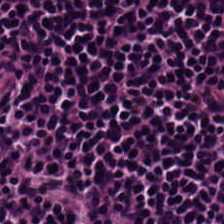Lymphocyte aggregate.
